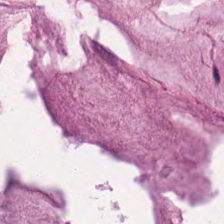Hematoxylin-and-eosin stained section — Finding — mucin.
